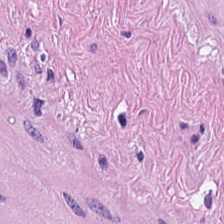H&E · brightfield microscopy. Tissue type = smooth muscle.
